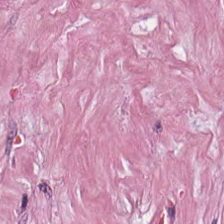H&E.
Q: What tissue is shown?
A: It is tumor-associated stroma.
